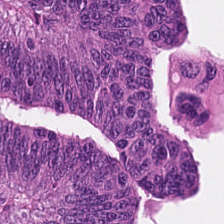H&E stain. Showing malignant epithelium.
